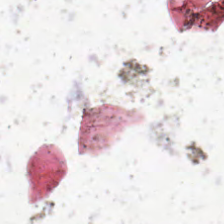H&E; brightfield.
Q: What is shown in this field?
A: This is background.
